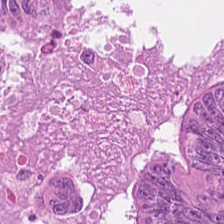Stain: H&E-stained tissue section.
Tissue type: adenocarcinoma.
